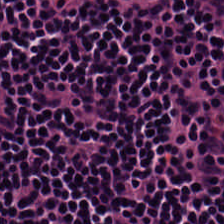This patch shows lymphocytic infiltrate.
